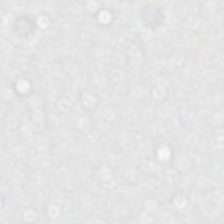Stain: H&E-stained tissue section.
Content: empty background.
